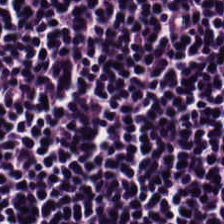Hematoxylin-and-eosin stained section. This field is lymphocytic infiltrate.
